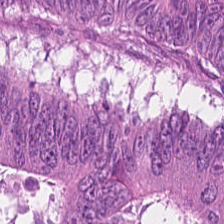H&E patch showing colorectal adenocarcinoma.
